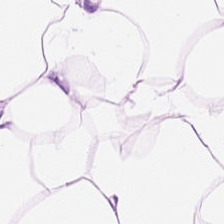Hematoxylin and eosin. Showing adipose.
